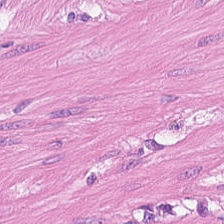H&E-stained tissue section. {"tissue_type": "smooth-muscle tissue"}
